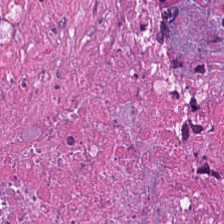FFPE; H&E.
Tissue type — necrotic debris.
